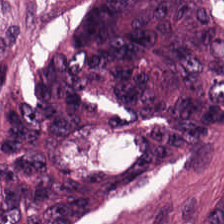Hematoxylin-and-eosin stained section. This field is colorectal adenocarcinoma.
